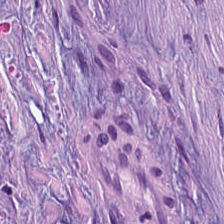H&E. Tumor-associated stroma.
